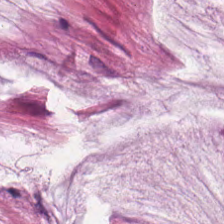Hematoxylin-and-eosin stained section · brightfield. Q: Classify this patch.
A: This is mucin.
